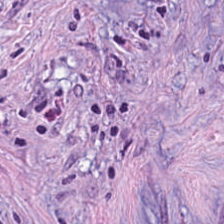H&E stain · 224×224 px patch. Predominantly desmoplastic stroma.
